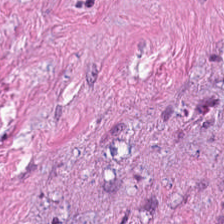H&E stain. 224×224 px patch.
Showing tumor-associated stroma.
